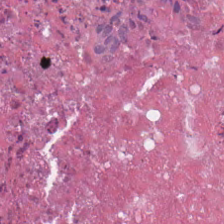224×224 px tile. Hematoxylin-and-eosin stained section — Showing cellular debris.
